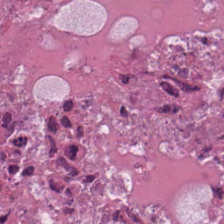H&E.
Predominantly debris.
